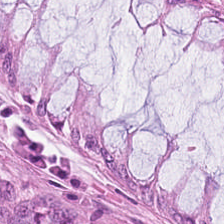{"tissue_type": "normal colon mucosa"}
